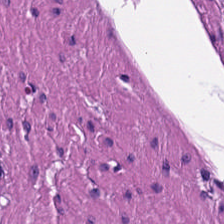H&E-stained tissue section; 20× equivalent magnification; FFPE tissue section.
Histology — smooth muscle.
